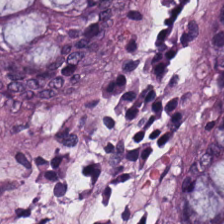Hematoxylin and eosin.
Finding → normal colon mucosa.
